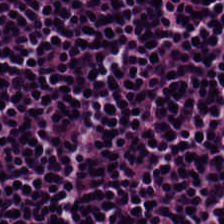Q: What tissue type is shown here?
A: Lymphoid infiltrate.
